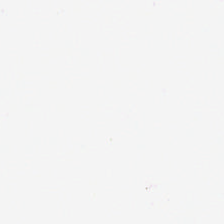H&E-stained tissue section — Finding — background.
